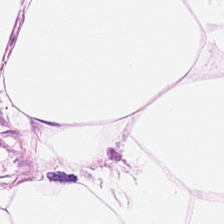Stain: hematoxylin and eosin.
Tissue: adipose tissue.
